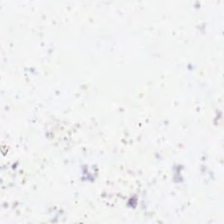H&E.
Q: Classify this patch.
A: This is background.
